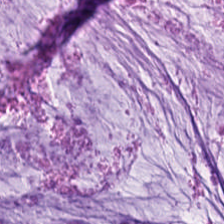Stain: hematoxylin-and-eosin stained section.
Classification: extracellular mucin.
